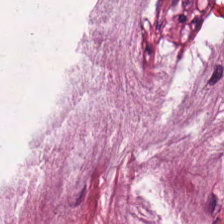Formalin-fixed paraffin-embedded section · 224×224 pixel tile · H&E stain — Classification: mucin.
